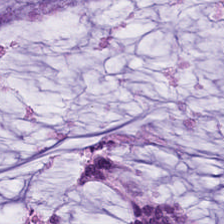Hematoxylin-and-eosin stained section.
Tissue class — extracellular mucin.
